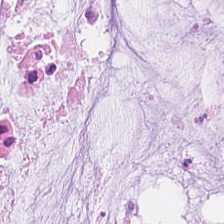H&E-stained tissue section. Histology → extracellular mucin.
